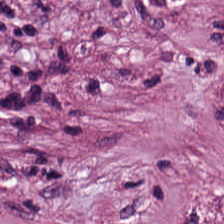Q: What is shown in this field?
A: The field shows cancer-associated stroma.
